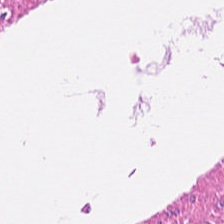H&E-stained tissue section. Brightfield — Impression — smooth-muscle tissue.
